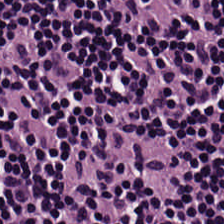FFPE tissue section; H&E stain; whole-slide-image patch.
The predominant tissue is lymphocytes.
